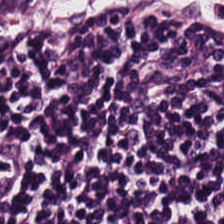H&E stain. Tissue: lymphoid infiltrate.
